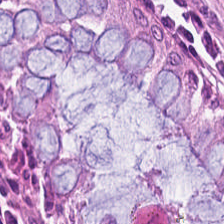Hematoxylin and eosin — Histology → normal colon mucosa.
